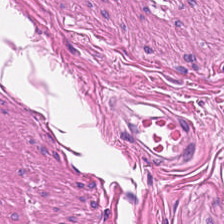224×224 pixel tile; hematoxylin-and-eosin stained section.
Tissue — smooth muscle.
